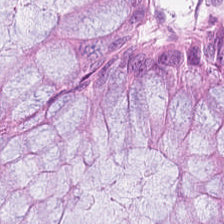Hematoxylin-and-eosin stained section. Predominant tissue: normal colon mucosa.
